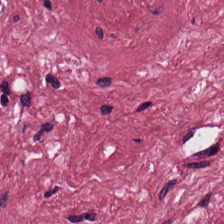The tissue here is cancer-associated stroma.
